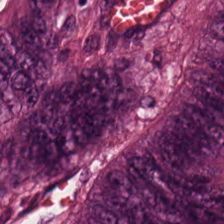0.5 µm/px. Brightfield. H&E.
Q: Classify this patch.
A: It is extracellular mucin.
